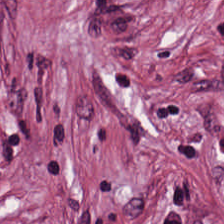Stain: hematoxylin-and-eosin stained section.
Tissue class: tumor-associated stroma.
